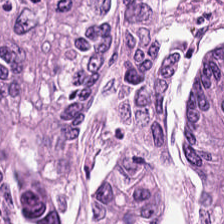{"tissue_type": "tumor epithelium"}
